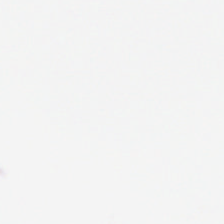H&E-stained tissue section — Q: Classify this patch.
A: This is empty background.
